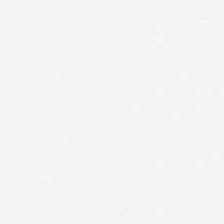H&E-stained tissue section; FFPE. The field content is empty background.
